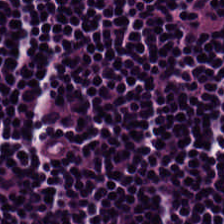Stain: H&E-stained tissue section.
Predominant tissue: lymphoid infiltrate.
